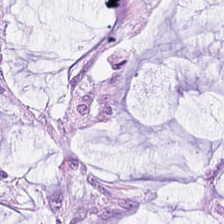H&E stain. {"tissue_type": "extracellular mucin"}
